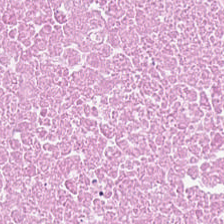Stain: hematoxylin-and-eosin stained section.
Tissue: cellular debris.
